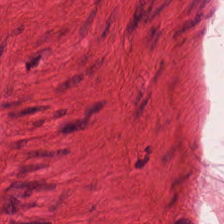Hematoxylin-and-eosin stained section — Histology → smooth muscle.
